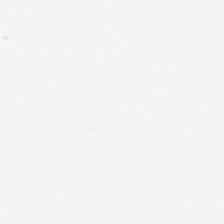{"content": "empty background"}
